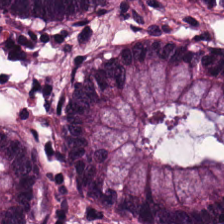H&E stain. FFPE tissue section — Tissue: normal colon mucosa.
